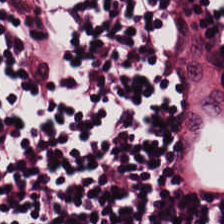H&E-stained tissue section — Classification — lymphoid infiltrate.
